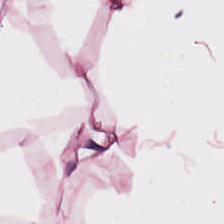Tissue type — adipose.
